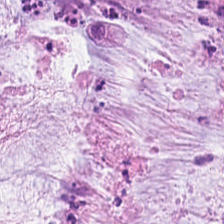Brightfield microscopy · hematoxylin and eosin — This field is mucin.
